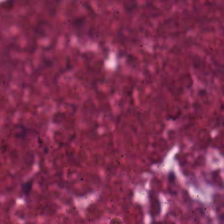H&E · 224×224 px tile · brightfield microscopy — Debris.
